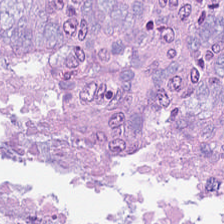H&E stain; FFPE tissue section.
Showing adenocarcinoma.
